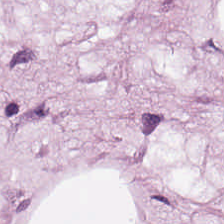H&E — Q: Classify this patch.
A: The field shows adipocytes.
